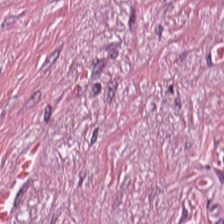Q: What tissue type is shown here?
A: The field shows tumor stroma.
